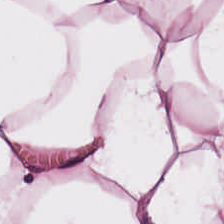Hematoxylin-and-eosin stained section.
Histology — adipocytes.
